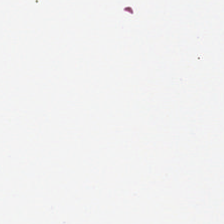Hematoxylin-and-eosin stained section. The content is background.
